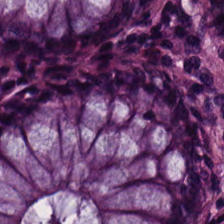H&E-stained tissue section · 0.5 microns per pixel — {"tissue_type": "benign colonic mucosa"}
